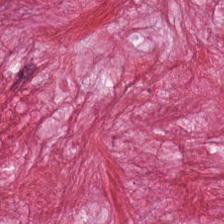Stain: hematoxylin-and-eosin stained section.
Predominant tissue: desmoplastic stroma.
